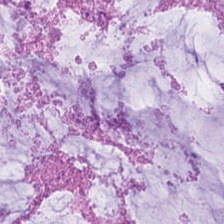Impression → mucin.
